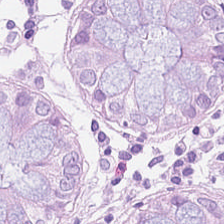The predominant tissue is benign colonic mucosa.
